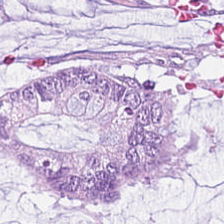H&E stain · WSI patch · FFPE tissue section.
This field is extracellular mucin.
